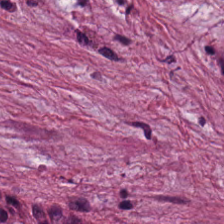This field is desmoplastic stroma.
